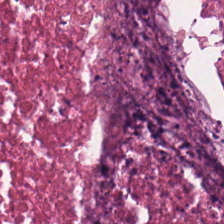Q: What is the predominant tissue type?
A: The field shows cellular debris.
